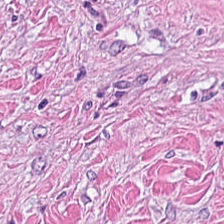H&E stain.
Q: What is shown in this field?
A: This is desmoplastic stroma.
